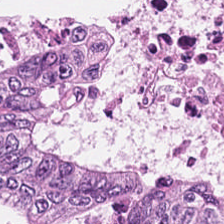H&E-stained tissue section; WSI patch; 224×224 pixel tile. The predominant tissue is malignant epithelium.
